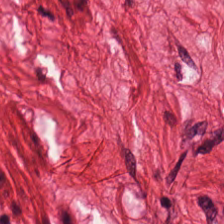Finding — muscularis.
